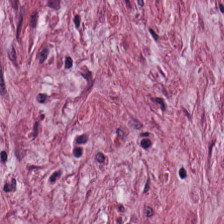H&E-stained tissue section. FFPE tissue section. Tissue class: tumor stroma.
